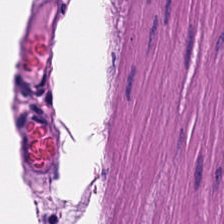H&E-stained tissue section. Q: What tissue is shown?
A: Smooth muscle.
